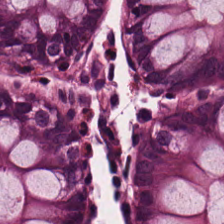Q: What tissue is shown?
A: This is benign colonic mucosa.
